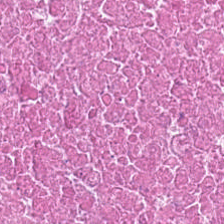H&E-stained tissue section — Impression → cellular debris.
